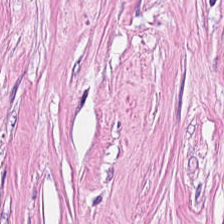Stain: hematoxylin and eosin.
Tissue class: cancer-associated stroma.
